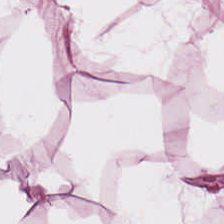Hematoxylin and eosin.
Finding — adipose.
